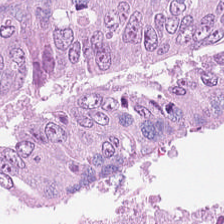Hematoxylin and eosin; brightfield.
Finding → adenocarcinoma.
